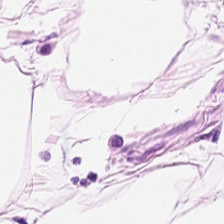H&E — adipocytes.
